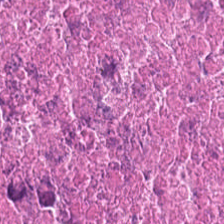H&E stain — Impression → necrotic debris.
